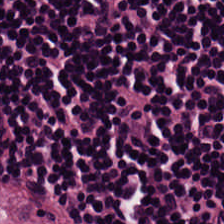Hematoxylin-and-eosin section: lymphocyte aggregate.
